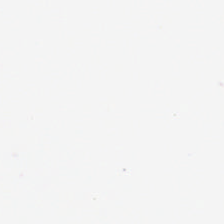H&E · 224×224 pixel tile.
The field content is background (no tissue).
